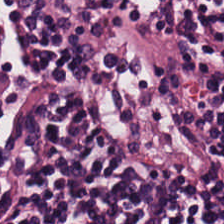Hematoxylin-and-eosin stained section. Brightfield. 224×224 px tile. Predominantly lymphoid infiltrate.
